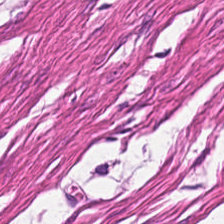Q: Identify the tissue.
A: Muscularis.
